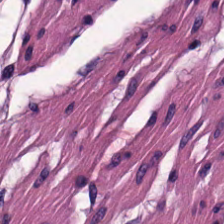Stain: H&E-stained tissue section.
Preparation: FFPE tissue section.
Classification: smooth muscle.
